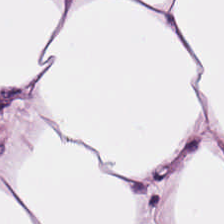FFPE tissue section. Hematoxylin-and-eosin stained section.
Impression — adipocytes.
